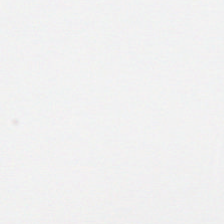Stain: hematoxylin and eosin.
Content: background (no tissue).
